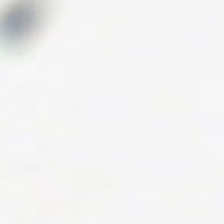20× equivalent magnification. H&E-stained tissue section.
Content: background.
